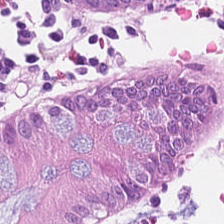Whole-slide-image patch; hematoxylin and eosin. Q: What tissue is shown?
A: It is normal colon mucosa.
